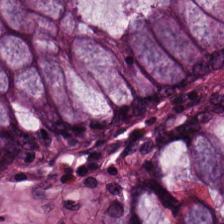The tissue class is benign colonic mucosa.
